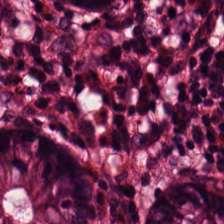Stain: H&E-stained tissue section.
Acquisition: brightfield microscopy.
Classification: normal colonic mucosa.
